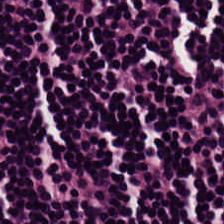H&E — lymphoid infiltrate.
